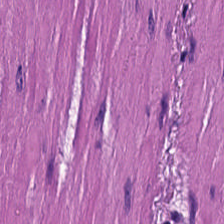Stain: hematoxylin-and-eosin stained section.
Acquisition: brightfield microscopy.
Tissue: muscularis.
